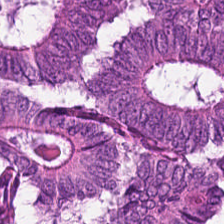Tissue type — tumor epithelium.
